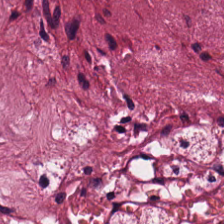H&E.
Q: Identify the tissue.
A: This is cancer-associated stroma.
